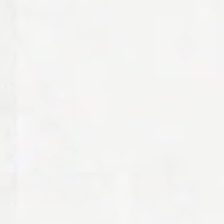H&E-stained tissue section.
This patch shows background.
